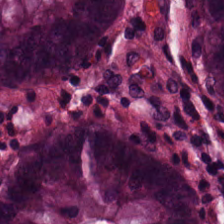Hematoxylin and eosin · 224×224 pixel tile. Tissue type: non-neoplastic colon mucosa.
